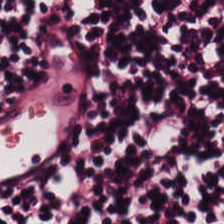H&E-stained tissue section showing lymphoid infiltrate.
